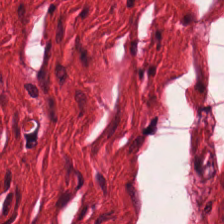Tissue — muscularis.
